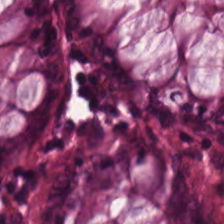H&E-stained tissue section. The tissue here is benign colonic mucosa.
